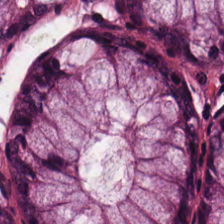FFPE tissue section · hematoxylin and eosin · 224×224 px tile — Finding — normal colonic mucosa.
